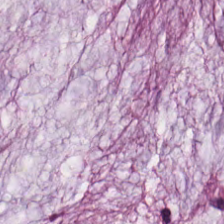H&E-stained tissue section showing mucus.
